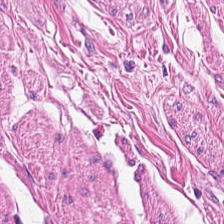H&E patch showing smooth-muscle tissue.
